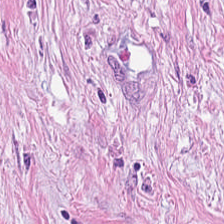H&E-stained tissue section showing cancer-associated stroma.
